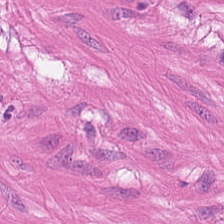Predominantly smooth muscle.
